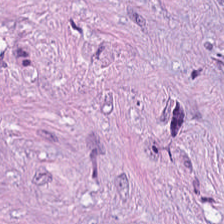H&E-stained tissue section. Q: What tissue type is shown here?
A: The field shows cancer-associated stroma.
